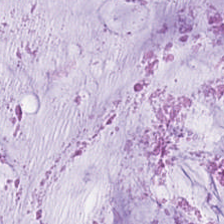{"tissue_type": "mucus"}
